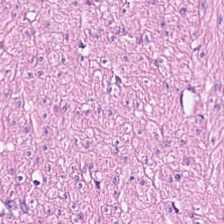Stain: hematoxylin and eosin.
Tissue type: muscularis.
